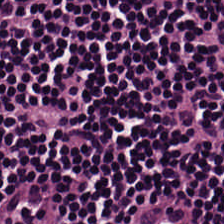Hematoxylin and eosin. FFPE — The tissue is lymphocytes.
